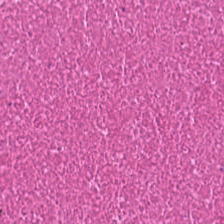Showing cellular debris.
